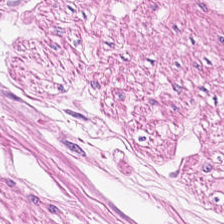Formalin-fixed paraffin-embedded section · H&E-stained tissue section.
The predominant tissue is muscularis.
